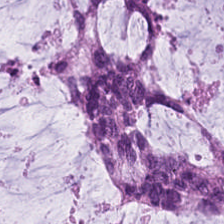Formalin-fixed paraffin-embedded section. Hematoxylin and eosin. WSI patch. The predominant tissue is mucus.
